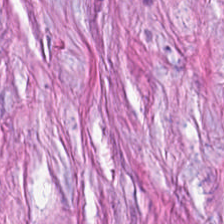H&E stain. The predominant tissue is cancer-associated stroma.
